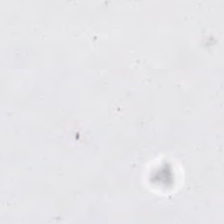WSI patch · H&E-stained tissue section · 224×224 px tile.
Impression — no tissue.
